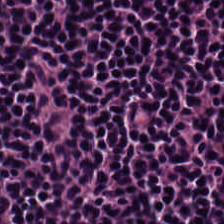WSI patch; H&E; 224×224 px tile — Tissue — lymphocytes.
